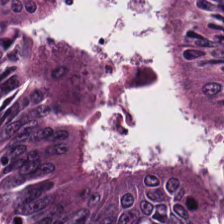H&E stain — The classification is tumor epithelium.
